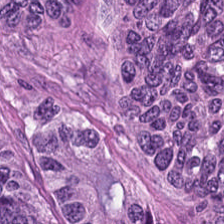Hematoxylin and eosin. Q: What is shown in this field?
A: It is colorectal adenocarcinoma.
